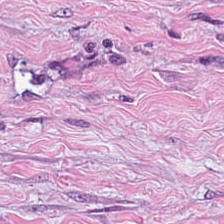Cancer-associated stroma.
